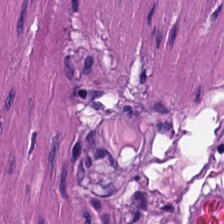H&E stain.
This patch shows smooth muscle.
